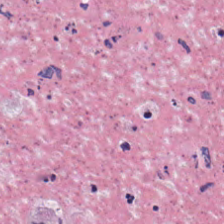H&E-stained tissue section — Histology → debris.
